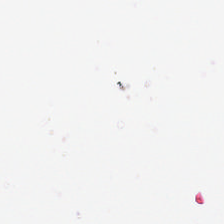0.5 µm per pixel; hematoxylin-and-eosin stained section — The content is empty background.
